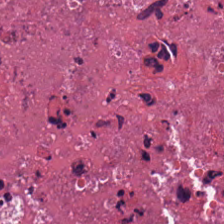224×224 px patch · H&E-stained tissue section. Finding → debris.
